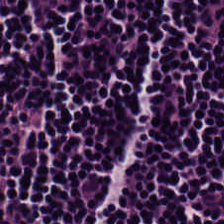224×224 pixel tile · hematoxylin-and-eosin stained section · WSI patch. {"tissue_type": "lymphocytic infiltrate"}
